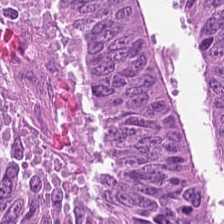FFPE. Hematoxylin-and-eosin stained section. 224×224 px tile — Tissue class: tumor epithelium.
